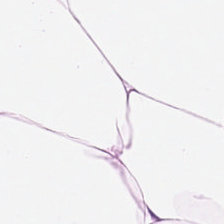H&E.
This patch shows adipose tissue.
